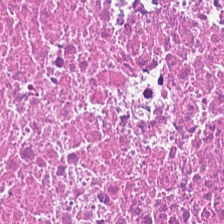FFPE; brightfield; H&E — {"tissue_type": "cellular debris"}
